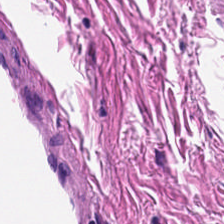H&E-stained tissue section. 20× equivalent magnification. The classification is smooth muscle.
